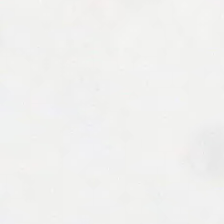Hematoxylin and eosin. This patch shows background.
